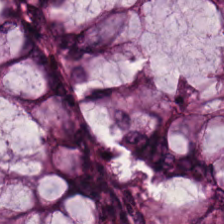Q: What does this patch show?
A: This is normal colon mucosa.
